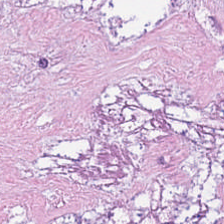224×224 px patch. Hematoxylin-and-eosin stained section — The predominant tissue is debris.
